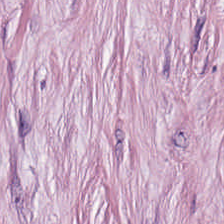The tissue type is tumor stroma.
